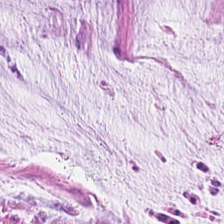Tissue = extracellular mucin.
